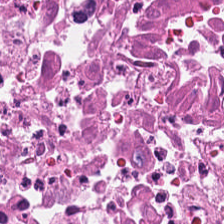H&E-stained tissue section. Whole-slide-image patch — The classification is necrotic debris.
